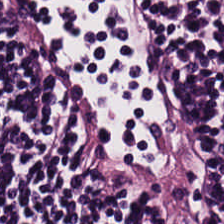224×224 px patch · hematoxylin and eosin · 0.5 µm per pixel.
Tissue — lymphocyte aggregate.
